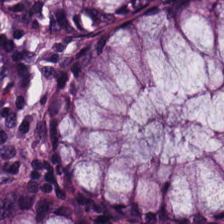Predominantly normal colon mucosa.
